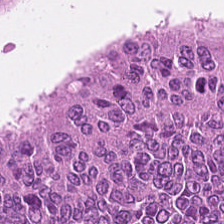Stain: H&E.
Tissue class: adenocarcinoma.
